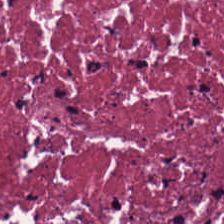20× equivalent magnification · H&E-stained tissue section · 224×224 pixel tile.
The tissue class is necrotic debris.
